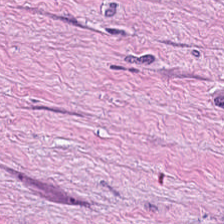Stain: hematoxylin-and-eosin stained section.
Classification: desmoplastic stroma.
